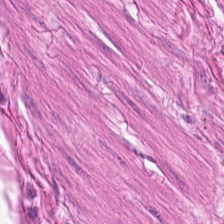Predominant tissue — muscularis.
